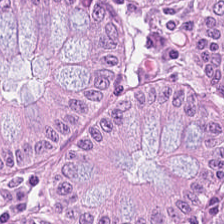H&E stain — Tissue — normal colonic mucosa.
